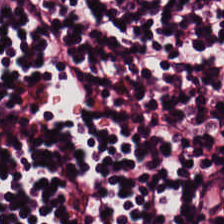{"tissue_type": "lymphocytes"}
